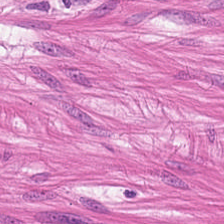Stain: H&E stain.
Tissue type: muscularis.
